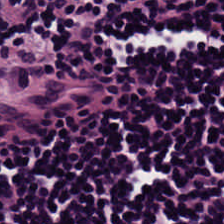Q: What type of tissue is this?
A: It is lymphocytes.
